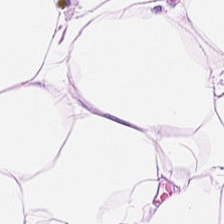H&E-stained tissue section — Fat tissue.
